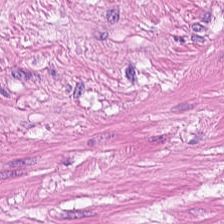{"tissue_type": "muscularis"}
